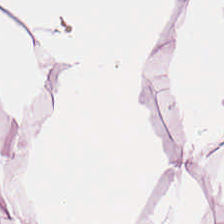Hematoxylin-and-eosin stained section. 224×224 pixel tile — Tissue type — fat tissue.
